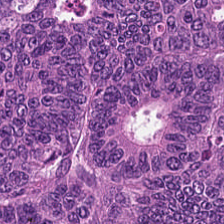H&E stain — The tissue type is tumor epithelium.
